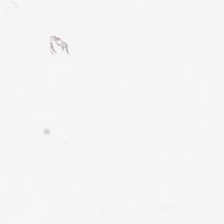H&E. No tissue present; background only.
